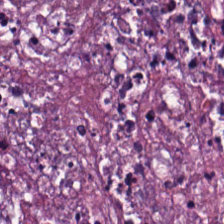Hematoxylin and eosin. Cellular debris.
